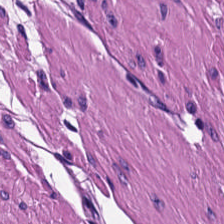Hematoxylin and eosin · 224×224 px tile — Q: What tissue is shown?
A: The field shows smooth muscle.
